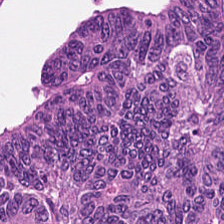Hematoxylin-and-eosin stained section.
Predominant tissue = malignant epithelium.
